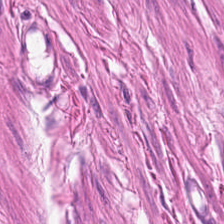Hematoxylin and eosin.
Tissue class: smooth muscle.
